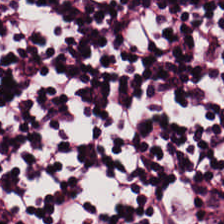Classification = lymphocyte aggregate.
